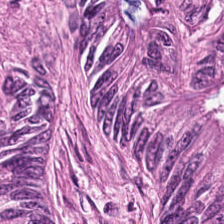Q: What tissue is shown?
A: It is colorectal adenocarcinoma epithelium.
